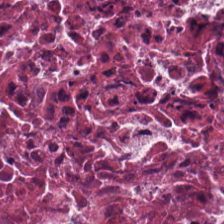Hematoxylin and eosin · 0.5 µm/px · FFPE.
This patch shows necrotic debris.
